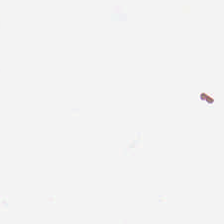Brightfield microscopy; H&E-stained tissue section; FFPE — This field is background (no tissue).
